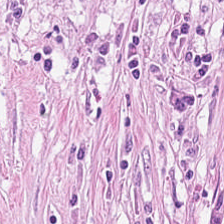Hematoxylin-and-eosin stained section.
This patch shows tumor stroma.
